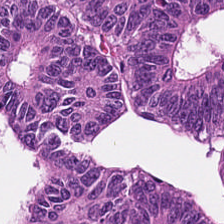H&E patch showing colorectal adenocarcinoma.
